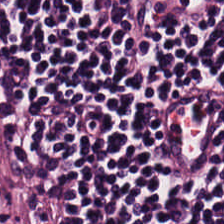Tissue class: lymphocyte aggregate.
